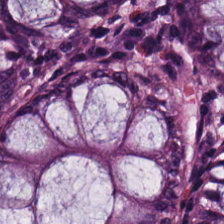Hematoxylin-and-eosin stained section. Formalin-fixed paraffin-embedded section — {"tissue_type": "non-neoplastic colon mucosa"}
